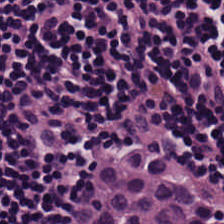H&E stain — Q: Classify this patch.
A: Lymphoid infiltrate.
